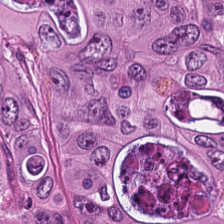H&E-stained tissue section showing colorectal adenocarcinoma.
